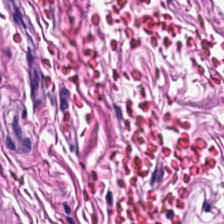Hematoxylin-and-eosin stained section. {"tissue_type": "smooth muscle"}
